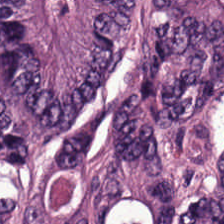H&E.
This patch shows malignant epithelium.
